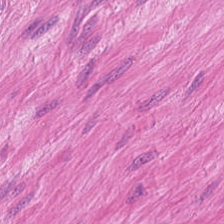Hematoxylin and eosin.
{"tissue_type": "smooth-muscle tissue"}
